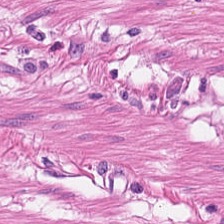Impression — smooth-muscle tissue.
